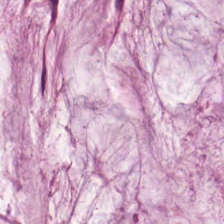20× equivalent magnification; H&E-stained tissue section. Histology — mucin.
